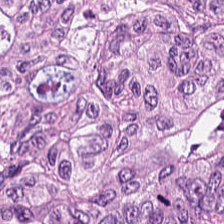224×224 px patch · hematoxylin and eosin — Colorectal adenocarcinoma epithelium.
